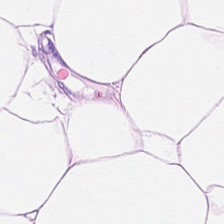H&E.
Tissue type — fat tissue.
